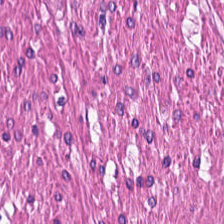H&E — Tissue type = smooth-muscle tissue.
